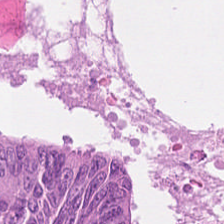H&E.
The tissue class is tumor epithelium.
